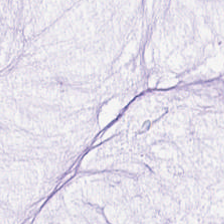Hematoxylin and eosin.
Tissue type — mucin.
